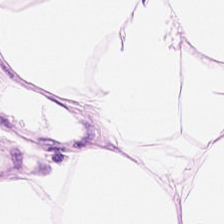Hematoxylin-and-eosin stained section — The tissue here is adipose.
